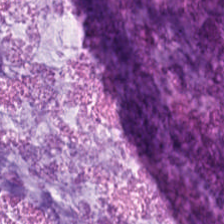H&E-stained tissue section · 224×224 px patch. This field is mucin.
